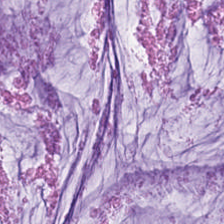20× equivalent magnification; H&E — The predominant tissue is mucin.
